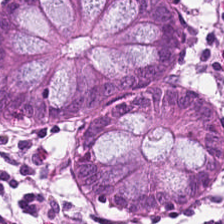Stain: H&E stain.
Preparation: formalin-fixed paraffin-embedded section.
Tissue type: normal colonic mucosa.
